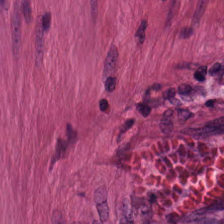H&E stain · formalin-fixed paraffin-embedded section · 0.5 µm per pixel — The tissue here is smooth muscle.
